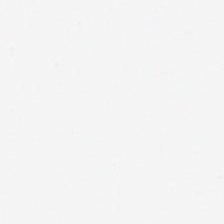Formalin-fixed paraffin-embedded section · H&E-stained tissue section · whole-slide-image patch — Q: What does this patch show?
A: The field shows background.
